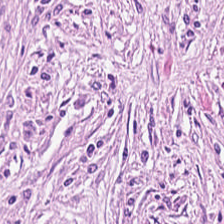H&E-stained tissue section.
Desmoplastic stroma.
